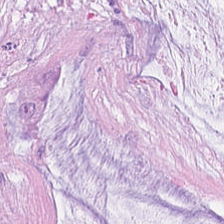Hematoxylin-and-eosin stained section — Showing mucin.
